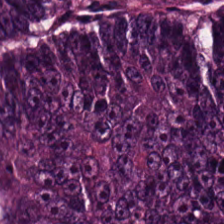Hematoxylin and eosin. The predominant tissue is malignant epithelium.
